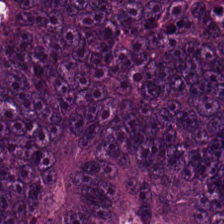Hematoxylin and eosin. FFPE — The tissue class is tumor epithelium.
